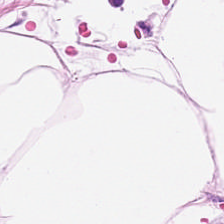Hematoxylin-and-eosin stained section.
Showing adipose.
